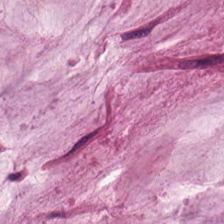Hematoxylin-and-eosin stained section · 224×224 px tile. Predominant tissue = mucus.
